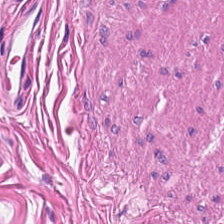H&E stain; 224×224 px patch. Predominantly smooth-muscle tissue.
